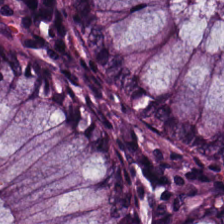H&E stain. WSI patch — Non-neoplastic colon mucosa.
